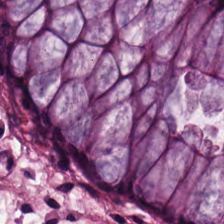Hematoxylin-and-eosin stained section.
Predominantly normal colon mucosa.
